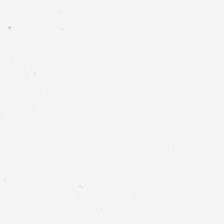Stain: hematoxylin and eosin.
Content: background (no tissue).
